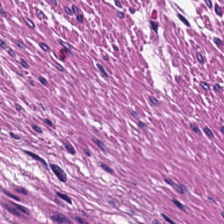H&E-stained tissue section. Tissue class = smooth muscle.
